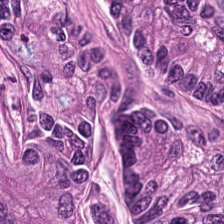Formalin-fixed paraffin-embedded section · hematoxylin-and-eosin stained section — Predominantly colorectal adenocarcinoma epithelium.
